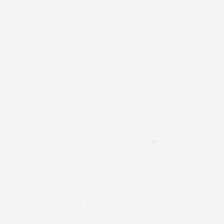224×224 px tile. H&E.
Classification: background.
